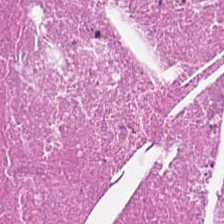224×224 pixel tile · H&E-stained tissue section · WSI patch — Q: What type of tissue is this?
A: The field shows necrotic debris.
